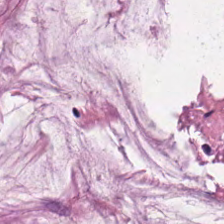Stain: hematoxylin-and-eosin stained section.
Tissue: mucin.
